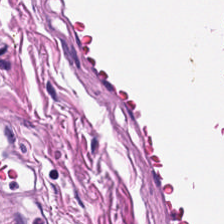H&E-stained tissue section showing muscularis.
